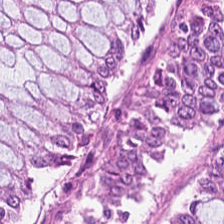Stain: H&E stain.
Preparation: formalin-fixed paraffin-embedded section.
Tissue class: non-neoplastic colon mucosa.
